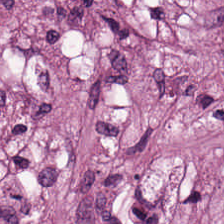Hematoxylin-and-eosin stained section.
Impression → cancer-associated stroma.
